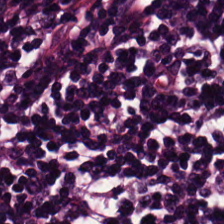H&E. Predominantly lymphocyte aggregate.
